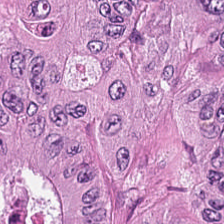This field is tumor epithelium.
